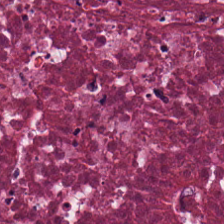Finding — cellular debris.
